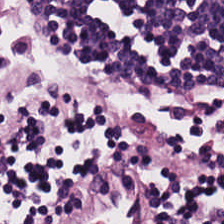Stain: hematoxylin-and-eosin stained section.
Resolution: 0.5 µm per pixel.
Predominant tissue: lymphoid infiltrate.
